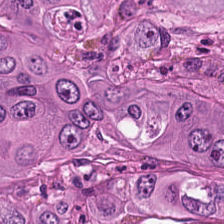H&E-stained tissue section. 224×224 px patch. This field is tumor epithelium.
